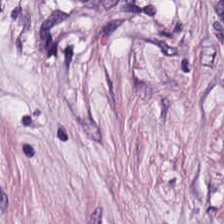H&E-stained tissue section.
Finding — desmoplastic stroma.
